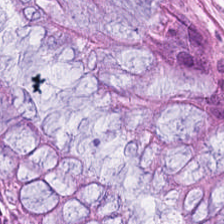224×224 px patch. H&E. Q: What type of tissue is this?
A: Normal colonic mucosa.
